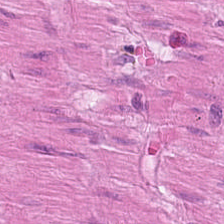Tissue class = smooth-muscle tissue.
